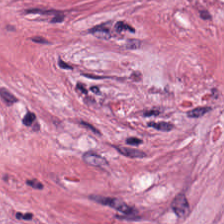H&E-stained tissue section. The predominant tissue is tumor stroma.
